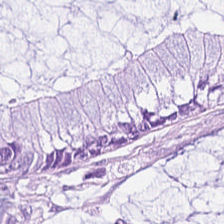Hematoxylin and eosin — Tissue = mucin.
